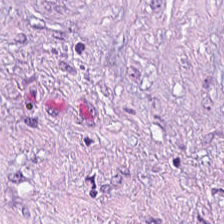Finding → cancer-associated stroma.
